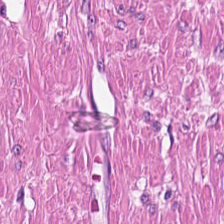Hematoxylin-and-eosin stained section; FFPE tissue section; 0.5 µm/px.
Q: What tissue is shown?
A: This is muscularis.
